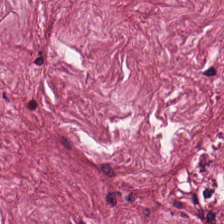Stain: H&E stain.
Acquisition: whole-slide-image patch.
Tissue: tumor stroma.
